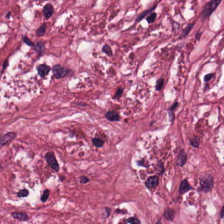Stain: hematoxylin and eosin.
Tissue: cancer-associated stroma.
